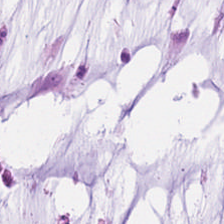H&E stain — Showing mucus.
